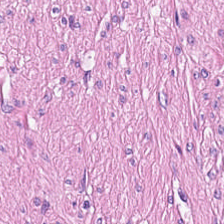224×224 px tile. H&E — The predominant tissue is smooth muscle.
